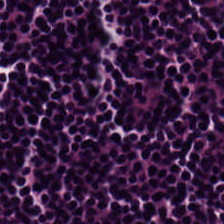Stain: H&E.
Preparation: FFPE tissue section.
Tissue: lymphocytic infiltrate.
